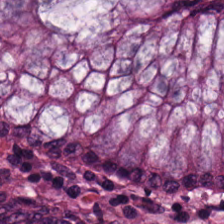Showing non-neoplastic colon mucosa.
